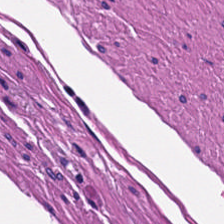H&E — The predominant tissue is muscularis.
